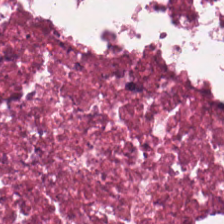224×224 px tile; hematoxylin-and-eosin stained section; formalin-fixed paraffin-embedded section. This field is necrotic debris.
